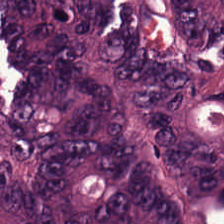224×224 pixel tile. H&E-stained tissue section. Tissue type — colorectal adenocarcinoma epithelium.
